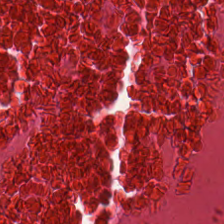H&E stain. WSI patch.
Q: What is the predominant tissue type?
A: Necrotic debris.
